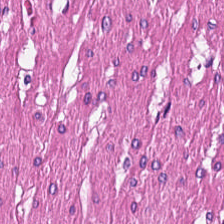Predominantly smooth-muscle tissue.
